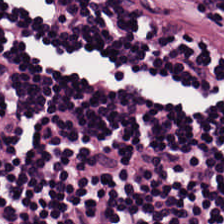Hematoxylin-and-eosin stained section. Lymphocytes.
